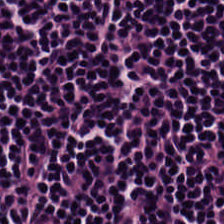Q: What is shown here?
A: This is lymphoid infiltrate.
